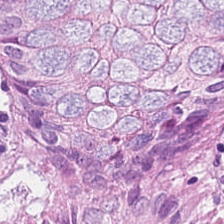Hematoxylin-and-eosin section: normal colon mucosa.
